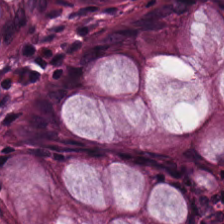{"tissue_type": "normal colon mucosa"}
